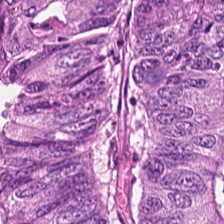Q: What type of tissue is this?
A: Colorectal adenocarcinoma epithelium.
